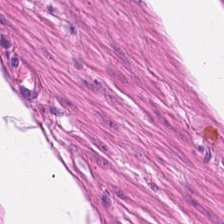Stain: H&E-stained tissue section.
Preparation: FFPE.
Acquisition: brightfield.
Classification: smooth muscle.
